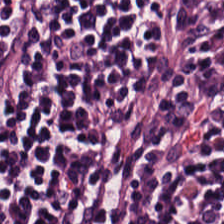Brightfield microscopy; H&E-stained tissue section. {"tissue_type": "lymphocytes"}
